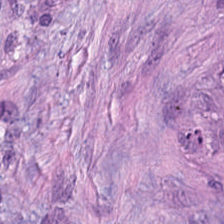H&E stain — Q: Identify the tissue.
A: The field shows cancer-associated stroma.
